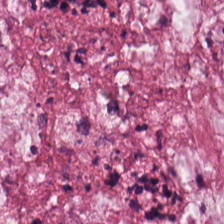Hematoxylin and eosin. {"tissue_type": "mucin"}
